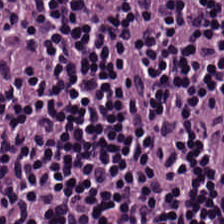Brightfield. 0.5 microns per pixel. Hematoxylin and eosin — Tissue type — lymphocytes.
